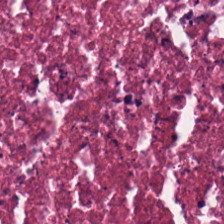Stain: H&E-stained tissue section.
Predominant tissue: debris.
